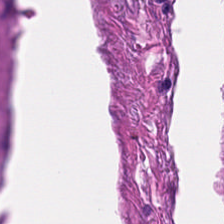H&E stain. This field is smooth muscle.
